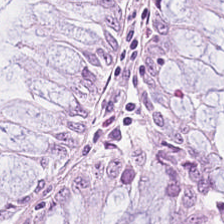H&E-stained tissue section.
Histology → benign colonic mucosa.
